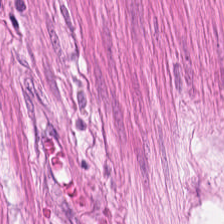This patch shows smooth muscle.
